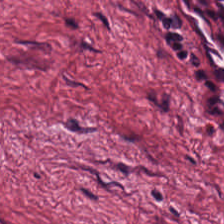0.5 microns per pixel. H&E stain. 224×224 px tile.
Showing tumor stroma.
